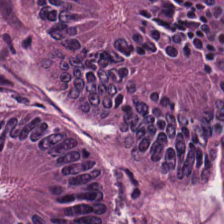Stain: H&E stain.
Acquisition: brightfield.
Tissue type: colorectal adenocarcinoma.
